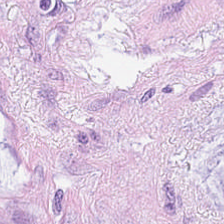Formalin-fixed paraffin-embedded section · hematoxylin-and-eosin stained section · brightfield microscopy. Classification: mucin.
